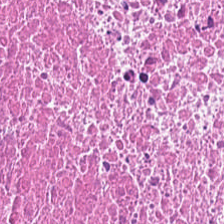WSI patch; H&E-stained tissue section; 224×224 px tile. Tissue type: debris.
